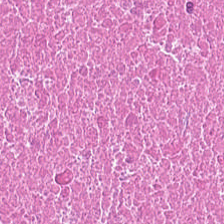Q: What is the predominant tissue type?
A: Necrotic debris.
